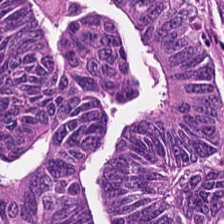Hematoxylin-and-eosin stained section.
The tissue here is tumor epithelium.
